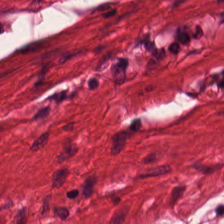Hematoxylin-and-eosin stained section.
Q: Identify the tissue.
A: The field shows muscularis.
